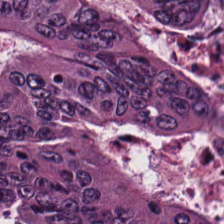Whole-slide-image patch. Hematoxylin and eosin.
This field is tumor epithelium.
